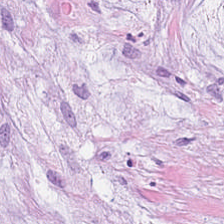Predominantly mucin.
